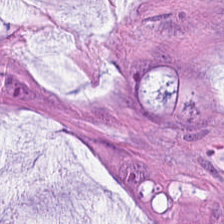Hematoxylin and eosin — Showing mucin.
